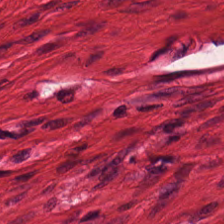224×224 px patch; H&E-stained tissue section.
Showing muscularis.
